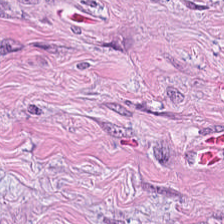Stain: H&E stain.
Tissue type: tumor-associated stroma.
